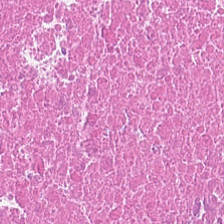H&E-stained tissue section. The predominant tissue is necrotic debris.
